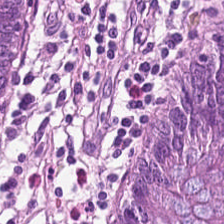Benign colonic mucosa.
